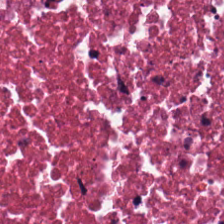H&E; 224×224 px patch — Tissue type — cellular debris.
